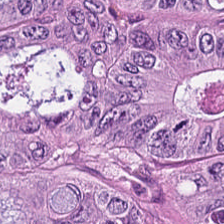FFPE; 20× equivalent magnification; hematoxylin-and-eosin stained section — Adenocarcinoma.
